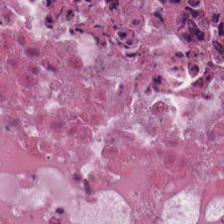Hematoxylin-and-eosin stained section.
This patch shows necrotic debris.
